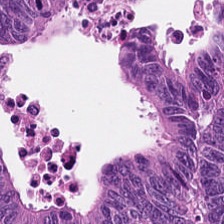This patch shows colorectal adenocarcinoma epithelium.
